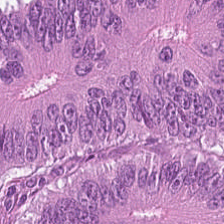FFPE. H&E. Classification — colorectal adenocarcinoma epithelium.
